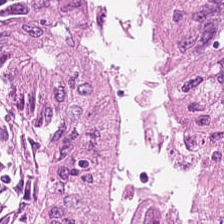Hematoxylin and eosin; 0.5 µm per pixel; formalin-fixed paraffin-embedded section — Showing colorectal adenocarcinoma.
